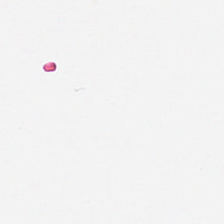224×224 px patch. H&E stain — Q: Classify this patch.
A: The field shows no tissue.
